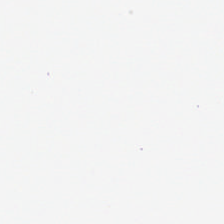Content — background (no tissue).
